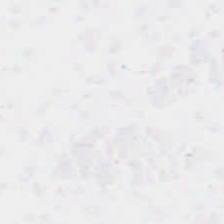Stain: H&E-stained tissue section.
Acquisition: whole-slide-image patch.
Field content: no tissue.
